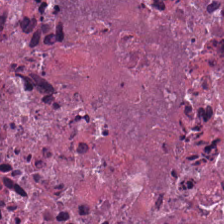H&E · whole-slide-image patch.
Predominant tissue — debris.
